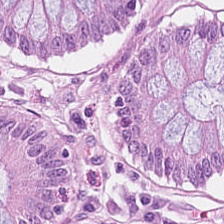0.5 µm/px; H&E-stained tissue section; FFPE tissue section — Tissue — non-neoplastic colon mucosa.
